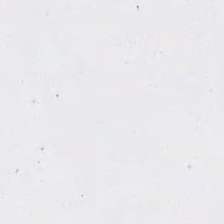Hematoxylin-and-eosin stained section — {"content": "empty background"}
